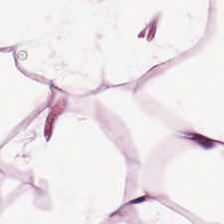{"tissue_type": "fat tissue"}
